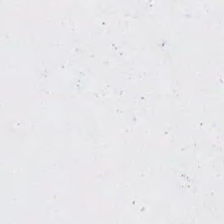H&E — Classification = no tissue.
